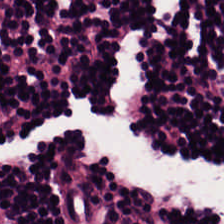The tissue class is lymphocyte aggregate.
